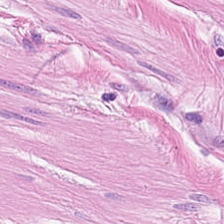H&E · FFPE — Predominant tissue = smooth muscle.
